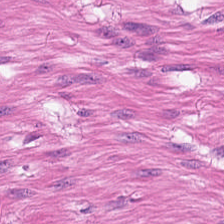Hematoxylin-and-eosin stained section.
Q: Identify the tissue.
A: Smooth muscle.
